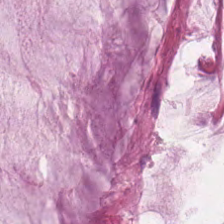0.5 µm/px; hematoxylin and eosin — The tissue type is extracellular mucin.
